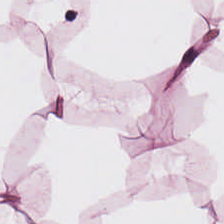H&E patch showing adipocytes.
